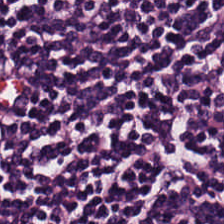H&E-stained tissue section.
This field is lymphocytic infiltrate.
